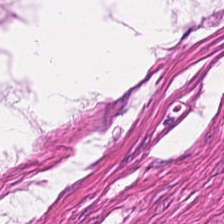H&E-stained tissue section.
This field is smooth muscle.
